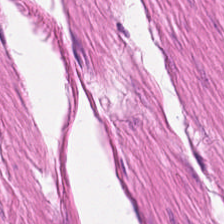224×224 px tile · hematoxylin-and-eosin stained section · FFPE.
Tissue type = muscularis.
